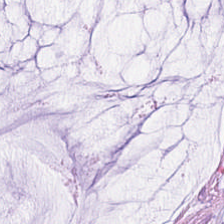H&E-stained tissue section; 0.5 µm per pixel. Extracellular mucin.
